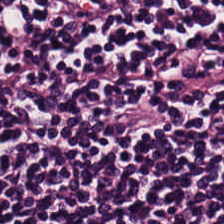Q: What is the predominant tissue type?
A: The field shows lymphocytic infiltrate.
